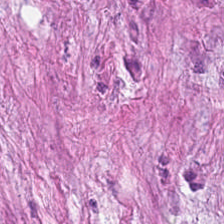Stain: H&E stain.
Tissue class: cancer-associated stroma.
